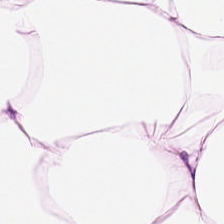Predominant tissue: adipose tissue.
